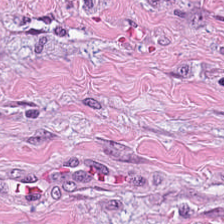Hematoxylin and eosin — Showing cancer-associated stroma.
